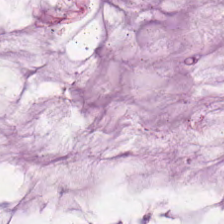0.5 microns per pixel · H&E-stained tissue section — {"tissue_type": "mucin"}
